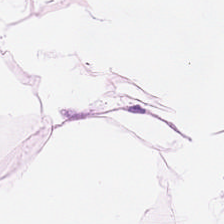224×224 px patch; hematoxylin-and-eosin stained section — Tissue type = fat tissue.
